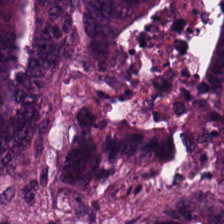Showing malignant epithelium.
